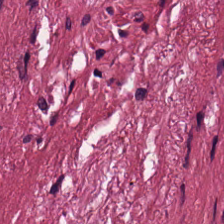Stain: hematoxylin and eosin.
Preparation: formalin-fixed paraffin-embedded section.
Predominant tissue: desmoplastic stroma.
